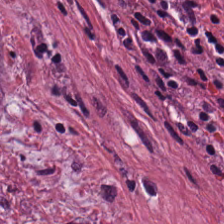Stain: hematoxylin and eosin.
Tissue class: tumor-associated stroma.
